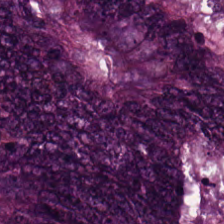H&E-stained tissue section — This patch shows malignant epithelium.
